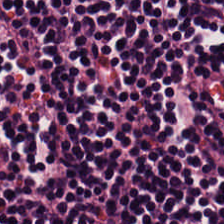Stain: H&E-stained tissue section.
Tissue: lymphocytic infiltrate.
